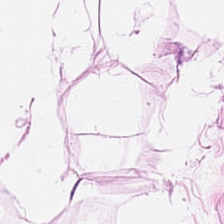224×224 px patch · hematoxylin-and-eosin stained section — This field is adipose.
